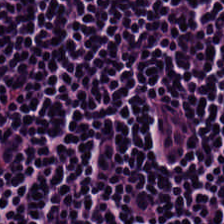Stain: H&E.
Resolution: 0.5 microns per pixel.
Tissue: lymphocytes.
